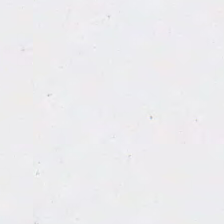Stain: H&E stain.
Field content: background.
